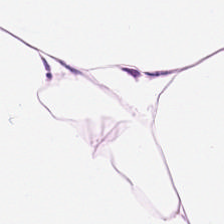The predominant tissue is adipocytes.
